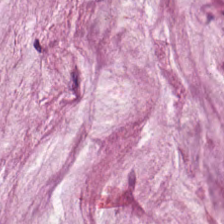H&E.
Predominant tissue — mucin.
